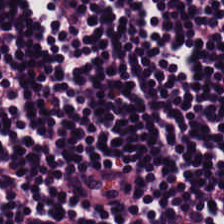H&E-stained tissue section. {"tissue_type": "lymphocyte aggregate"}
